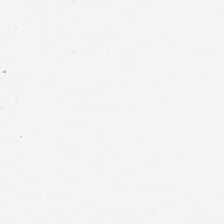H&E-stained tissue section. The field content is empty background.
